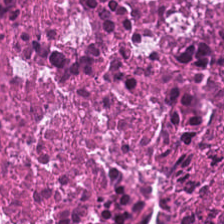Hematoxylin and eosin — Q: What tissue type is shown here?
A: This is debris.
